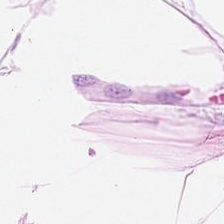Stain: hematoxylin-and-eosin stained section.
Preparation: FFPE.
Acquisition: brightfield.
Tissue type: adipose tissue.
